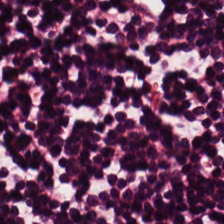This field is lymphocytic infiltrate.
